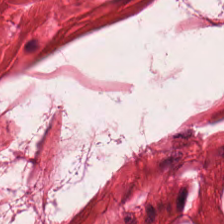Hematoxylin and eosin; 224×224 px patch — The tissue here is muscularis.
